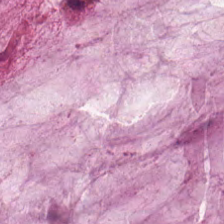H&E.
This field is mucin.
